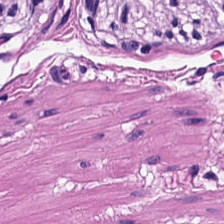H&E-stained tissue section; brightfield. Classification: smooth muscle.
